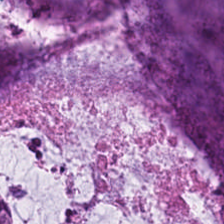H&E-stained tissue section. 224×224 px tile. Q: What type of tissue is this?
A: Mucus.
